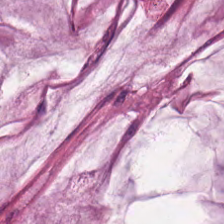Tissue type: mucin.
